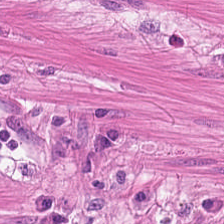The tissue class is smooth-muscle tissue.
